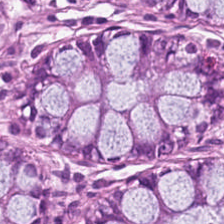H&E-stained tissue section. Predominant tissue — normal colon mucosa.
